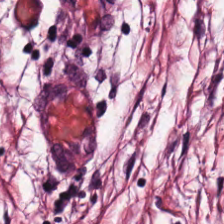224×224 px patch · H&E-stained tissue section. Predominant tissue — cancer-associated stroma.
